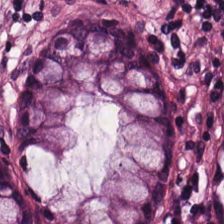Hematoxylin and eosin · 224×224 px tile — Predominantly normal colon mucosa.
